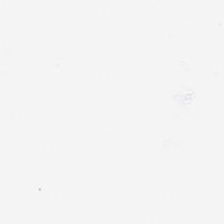0.5 µm per pixel; H&E-stained tissue section — No tissue present; background only.
